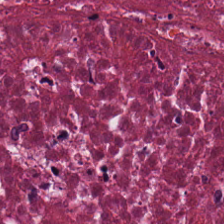This field is necrotic debris.
